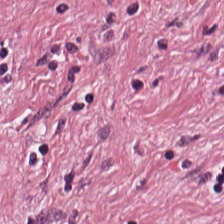224×224 px tile. Brightfield microscopy. Hematoxylin-and-eosin stained section. The classification is desmoplastic stroma.
